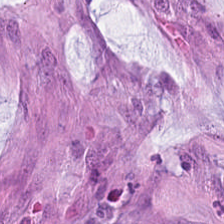Hematoxylin-and-eosin stained section · 224×224 px patch. This patch shows extracellular mucin.
